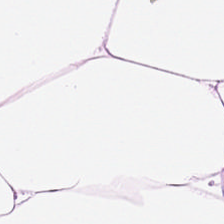Hematoxylin and eosin · 224×224 px patch.
Adipose.
